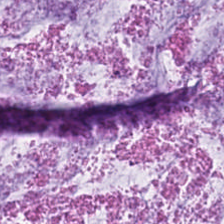Stain: H&E-stained tissue section.
Tissue: extracellular mucin.
